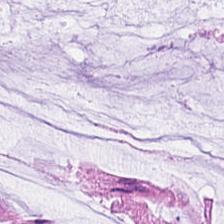Non-neoplastic colon mucosa.
